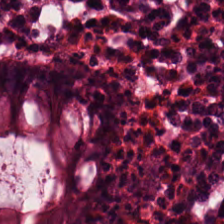H&E-stained tissue section · whole-slide-image patch · 224×224 px tile — The tissue here is benign colonic mucosa.
